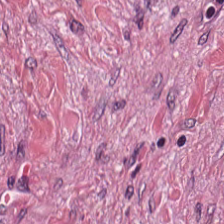H&E.
Predominantly tumor-associated stroma.
